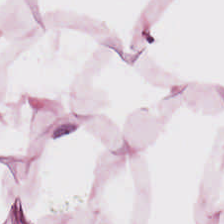Q: What is the predominant tissue type?
A: Adipose.
